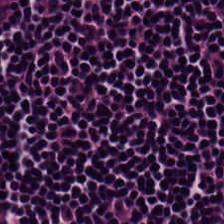H&E-stained tissue section.
Showing lymphocytes.
